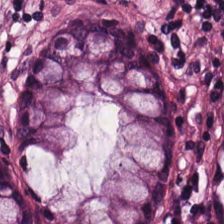Stain: hematoxylin and eosin.
Preparation: formalin-fixed paraffin-embedded section.
Resolution: 0.5 µm per pixel.
Tissue type: normal colon mucosa.
